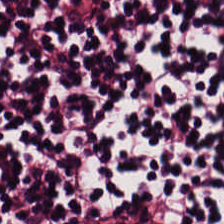Hematoxylin-and-eosin stained section — Tissue type: lymphocyte aggregate.
